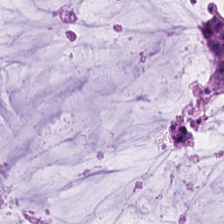H&E stain.
Classification — extracellular mucin.
